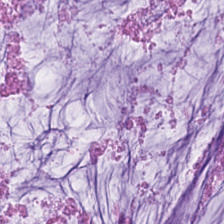Hematoxylin and eosin; brightfield microscopy — Showing mucin.
